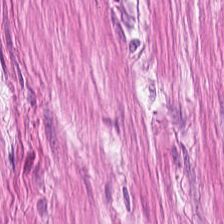Hematoxylin and eosin — Q: What is shown here?
A: This is muscularis.
